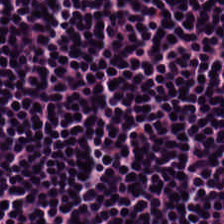H&E patch showing lymphocytic infiltrate.
